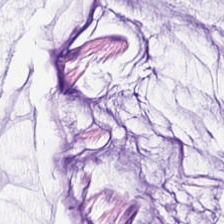H&E. The tissue is mucin.
